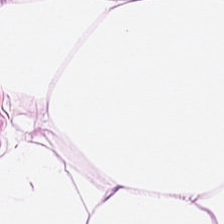H&E-stained tissue section — Showing adipose.
